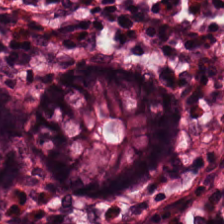Hematoxylin and eosin. The classification is normal colon mucosa.
